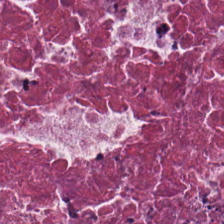Hematoxylin and eosin. Finding → cellular debris.
